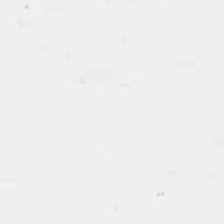Hematoxylin and eosin.
Q: What is shown here?
A: It is background.
